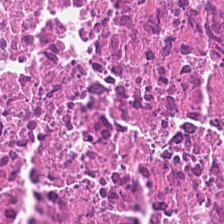0.5 µm per pixel; FFPE; H&E stain.
The tissue here is cellular debris.
